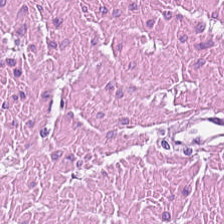This field is smooth muscle.
